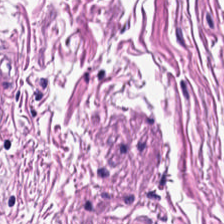H&E · WSI patch.
The tissue class is smooth muscle.
